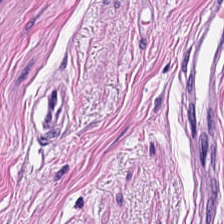0.5 µm per pixel. H&E-stained tissue section — Smooth muscle.
